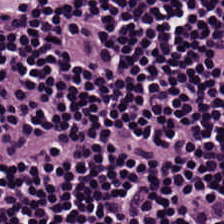H&E-stained section; the field shows lymphocyte aggregate.
